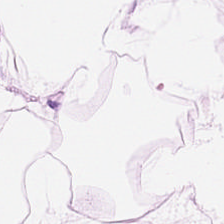H&E-stained tissue section · brightfield · FFPE.
Q: What tissue is shown?
A: This is adipose tissue.
